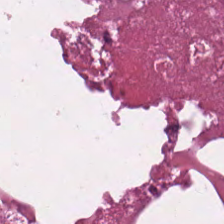H&E.
Tissue class — necrotic debris.
